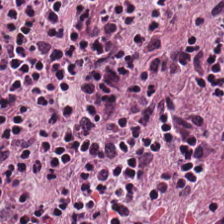224×224 px tile · hematoxylin and eosin · FFPE. Classification: lymphocytes.
